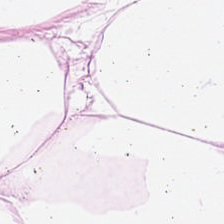The predominant tissue is adipocytes.
